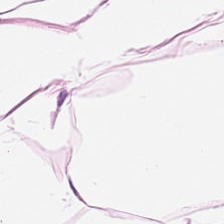Stain: H&E stain.
Tissue class: adipose.
